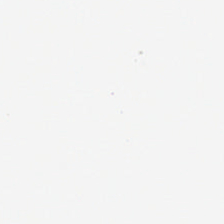H&E stain. Content — no tissue.
